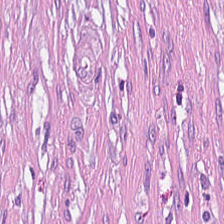Predominant tissue = desmoplastic stroma.
